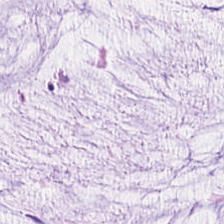H&E — Tissue = extracellular mucin.
